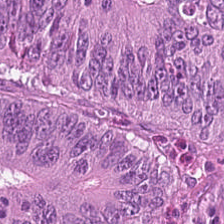Q: What tissue type is shown here?
A: It is malignant epithelium.
